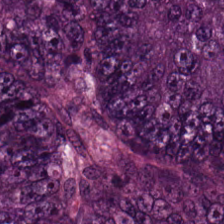The tissue here is adenocarcinoma.
